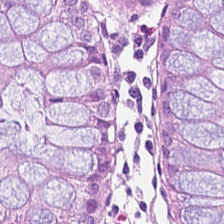Stain: H&E.
Predominant tissue: non-neoplastic colon mucosa.
